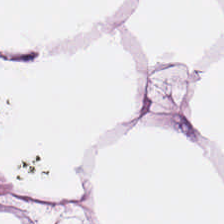Hematoxylin-and-eosin stained section — Q: What tissue is shown?
A: This is adipose tissue.
